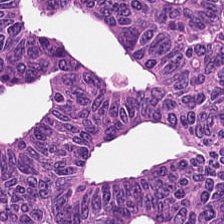FFPE · H&E stain — This field is colorectal adenocarcinoma.
